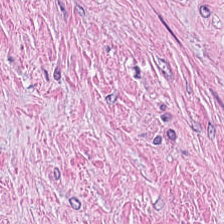Hematoxylin and eosin. Tissue type = tumor-associated stroma.
